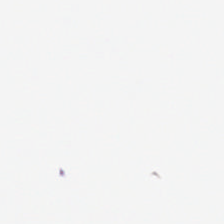FFPE · H&E-stained tissue section. This field is background (no tissue).
